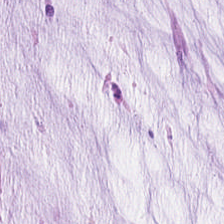Hematoxylin and eosin; formalin-fixed paraffin-embedded section; 0.5 µm per pixel.
The tissue here is extracellular mucin.
